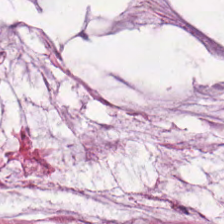FFPE · H&E — Impression → mucus.
